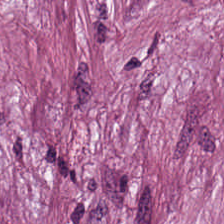H&E stain. 224×224 px patch — Tumor stroma.
